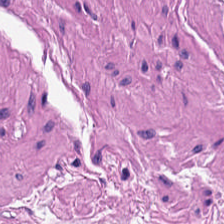H&E-stained tissue section. 20× equivalent magnification. 224×224 px tile — Muscularis.
